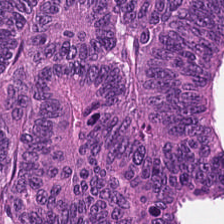FFPE · H&E-stained tissue section — Predominant tissue: malignant epithelium.
